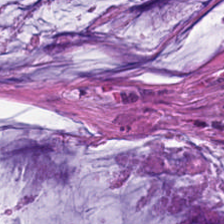Hematoxylin-and-eosin stained section — Showing mucus.
